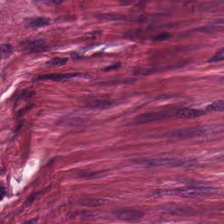H&E · 224×224 pixel tile — Q: What is shown in this field?
A: This is desmoplastic stroma.
